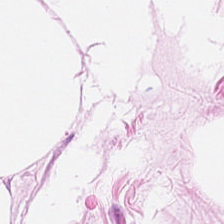Brightfield; H&E stain. Tissue: adipose tissue.
